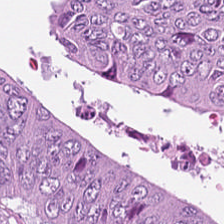H&E · 20× equivalent magnification · 224×224 pixel tile — This field is adenocarcinoma.
